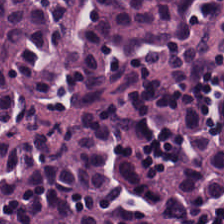H&E stain. Showing lymphoid infiltrate.
